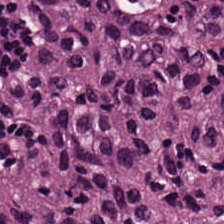H&E stain. Adenocarcinoma.
